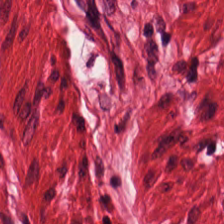H&E — Predominant tissue: smooth muscle.
